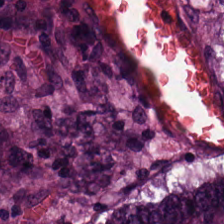The tissue here is malignant epithelium.
